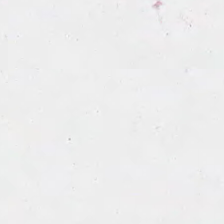224×224 px patch · H&E. The field content is background.
